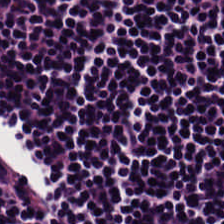Hematoxylin-and-eosin stained section; formalin-fixed paraffin-embedded section.
Predominant tissue = lymphoid infiltrate.
